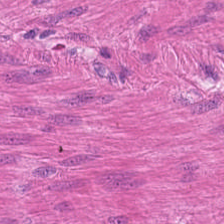Whole-slide-image patch; hematoxylin-and-eosin stained section; 224×224 px patch. Tissue class: muscularis.
